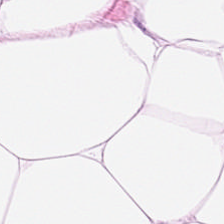Hematoxylin-and-eosin stained section; formalin-fixed paraffin-embedded section.
Tissue: adipose.
